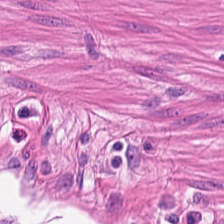224×224 px tile; hematoxylin-and-eosin stained section; FFPE — Showing smooth muscle.
